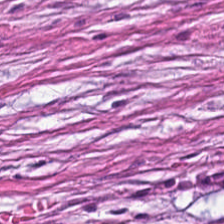Classification = tumor stroma.
